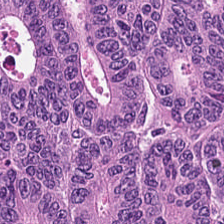FFPE. Brightfield microscopy. H&E. Showing colorectal adenocarcinoma.
